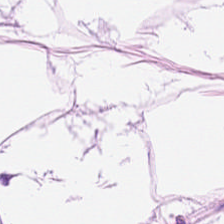H&E stain. This field is adipose tissue.
